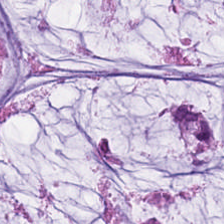H&E.
Finding — mucin.
